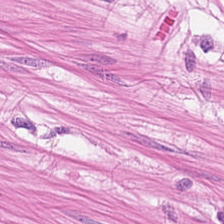H&E stain · 0.5 microns per pixel — Tissue class: smooth-muscle tissue.
